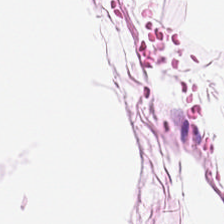H&E-stained tissue section; formalin-fixed paraffin-embedded section. Tissue class = adipose.
